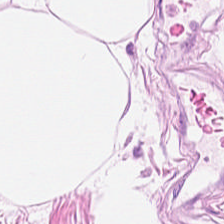H&E patch showing adipose tissue.
